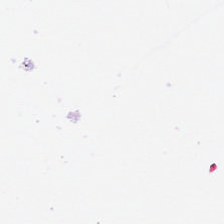No tissue present; background only.
